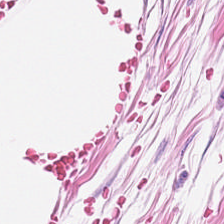Predominantly adipocytes.
